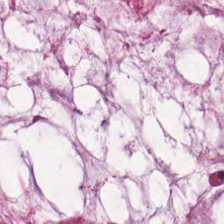Hematoxylin and eosin.
Q: Identify the tissue.
A: The field shows extracellular mucin.
